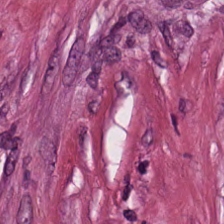Hematoxylin-and-eosin stained section. Q: What is the predominant tissue type?
A: The field shows tumor-associated stroma.
